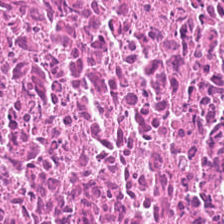H&E-stained tissue section · 224×224 px tile · WSI patch. The tissue here is cellular debris.
